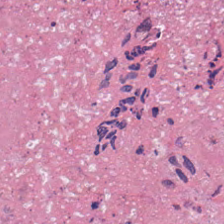Hematoxylin and eosin — Showing cellular debris.
